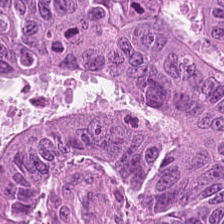H&E. Predominant tissue — tumor epithelium.
